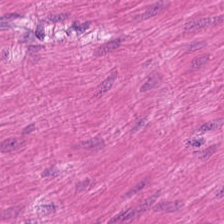0.5 µm/px · hematoxylin-and-eosin stained section — Tissue = smooth muscle.
